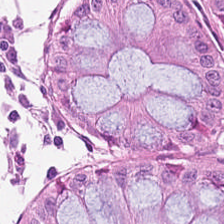H&E-stained tissue section.
Benign colonic mucosa.
